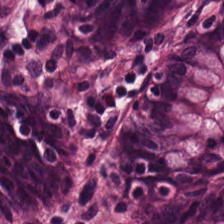This patch shows benign colonic mucosa.
